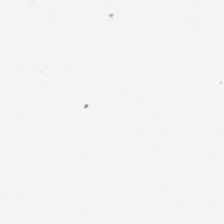Brightfield. H&E stain.
Q: What is shown here?
A: The field shows no tissue.
